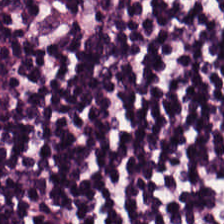Q: What does this patch show?
A: Lymphoid infiltrate.
